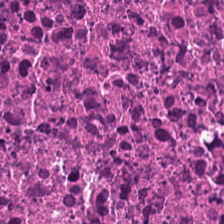H&E-stained tissue section — Histology → necrotic debris.
